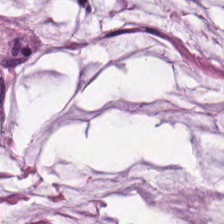Stain: H&E.
Resolution: 0.5 µm/px.
Tile size: 224×224 pixel tile.
Tissue type: extracellular mucin.
